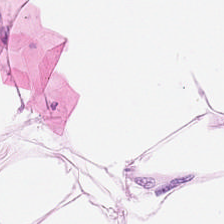0.5 µm/px. FFPE tissue section. Hematoxylin and eosin.
Q: What tissue is shown?
A: This is adipose tissue.
